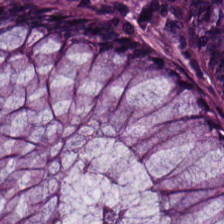This patch shows non-neoplastic colon mucosa.
